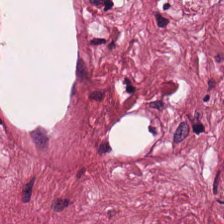Hematoxylin-and-eosin stained section.
Finding — desmoplastic stroma.
